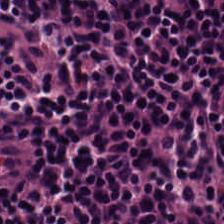Tissue class: lymphocyte aggregate.
